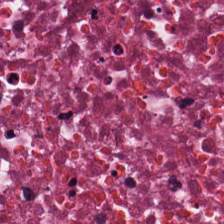Tissue class: debris.
